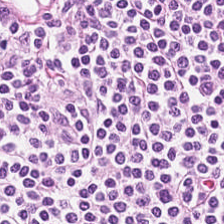H&E-stained tissue section.
Tissue — lymphoid infiltrate.
